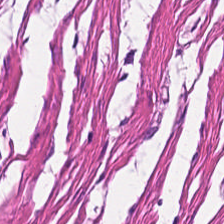Finding → smooth-muscle tissue.
